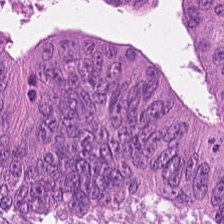Hematoxylin and eosin.
This patch shows colorectal adenocarcinoma epithelium.
